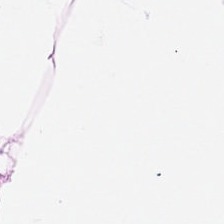Q: What tissue is shown?
A: Fat tissue.
